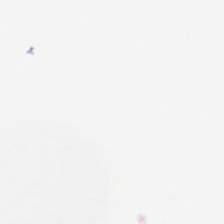Classification — background (no tissue).
